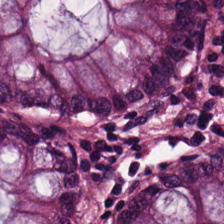H&E stain. WSI patch. Q: What tissue is shown?
A: This is benign colonic mucosa.
